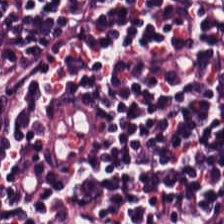H&E.
The tissue type is lymphocytes.
